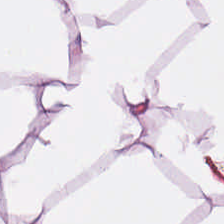224×224 px patch. H&E stain. Formalin-fixed paraffin-embedded section. This field is adipose.
